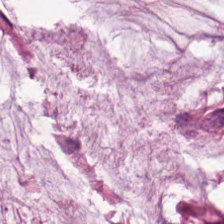Stain: hematoxylin-and-eosin stained section.
Tissue: extracellular mucin.
